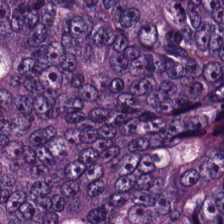Stain: hematoxylin-and-eosin stained section.
Tile size: 224×224 px tile.
Tissue class: tumor epithelium.
